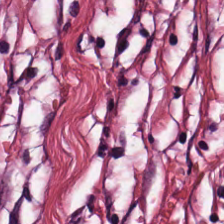Hematoxylin and eosin; whole-slide-image patch — This patch shows tumor stroma.
